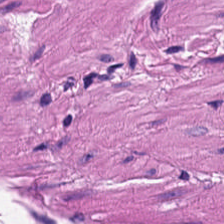Hematoxylin-and-eosin stained section · brightfield microscopy · 20× equivalent magnification. This patch shows muscularis.
